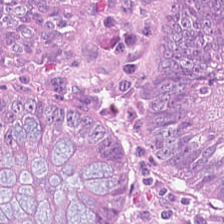FFPE · H&E · 224×224 px tile. This field is colorectal adenocarcinoma.
